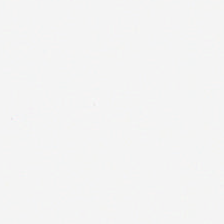Hematoxylin-and-eosin stained section. Field content = background.
